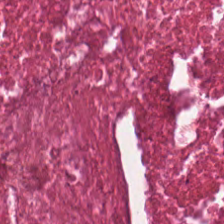H&E. FFPE.
Tissue class — debris.
